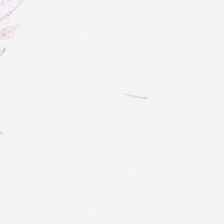H&E-stained tissue section · WSI patch · 0.5 microns per pixel.
{"tissue_type": "adipose tissue"}
